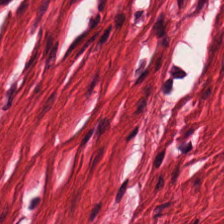0.5 microns per pixel; hematoxylin and eosin — Predominant tissue — smooth-muscle tissue.
